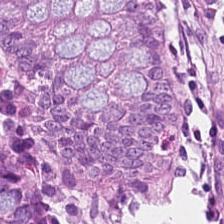H&E stain. Finding → benign colonic mucosa.
